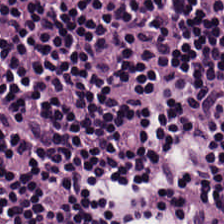H&E stain.
Showing lymphocytic infiltrate.
